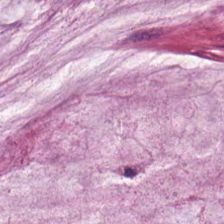Hematoxylin-and-eosin stained section. 224×224 px patch. {"tissue_type": "extracellular mucin"}
